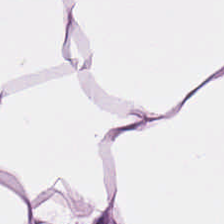0.5 microns per pixel · hematoxylin and eosin. Adipose.
